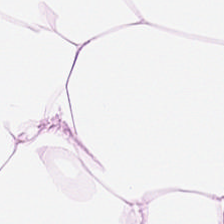H&E-stained tissue section — Tissue — adipose.
